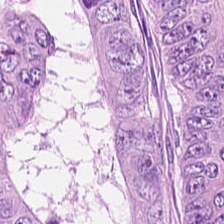The tissue here is malignant epithelium.
